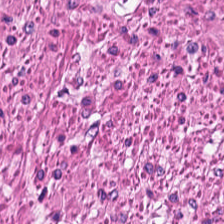H&E stain.
The tissue here is smooth muscle.
